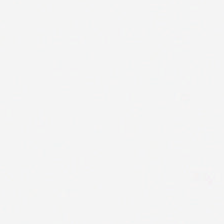Hematoxylin-and-eosin stained section. Brightfield microscopy. 224×224 px patch — This field is background (no tissue).
